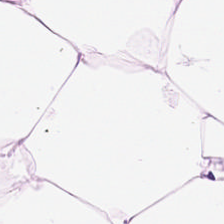H&E; brightfield microscopy.
Adipose tissue.
